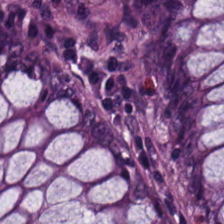Hematoxylin-and-eosin section: normal colonic mucosa.
